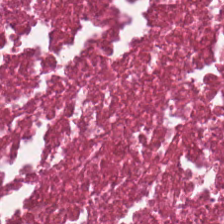H&E stain · FFPE.
Tissue type: necrotic debris.
